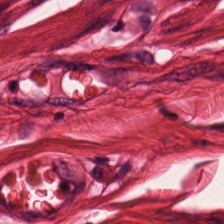Hematoxylin and eosin; 224×224 px tile — Smooth-muscle tissue.
